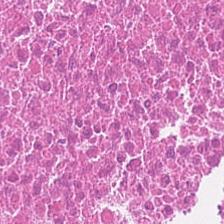Hematoxylin-and-eosin stained section.
Q: What tissue is shown?
A: It is necrotic debris.
